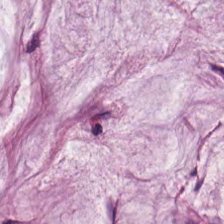Brightfield microscopy. FFPE tissue section. Hematoxylin-and-eosin stained section — The tissue type is extracellular mucin.
